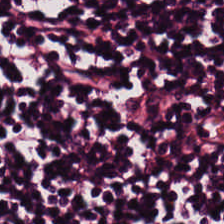Stain: H&E stain.
Preparation: formalin-fixed paraffin-embedded section.
Resolution: 0.5 µm/px.
Tissue: lymphoid infiltrate.
